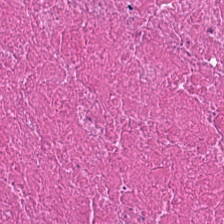Hematoxylin-and-eosin stained section — Tissue type = debris.
